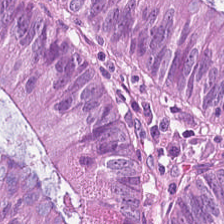H&E — tumor epithelium.
